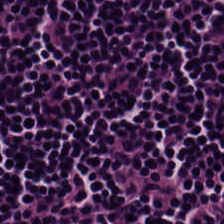Hematoxylin and eosin; formalin-fixed paraffin-embedded section — The tissue here is lymphocyte aggregate.
